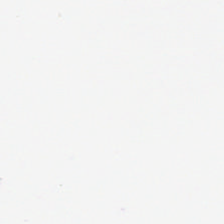H&E stain. 0.5 µm per pixel.
Empty background.
